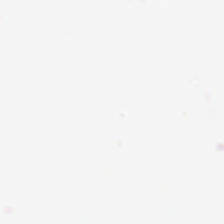H&E.
No tissue present; background only.
